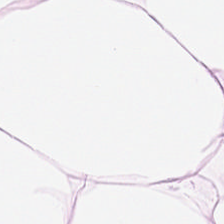Hematoxylin-and-eosin stained section. The tissue type is fat tissue.
